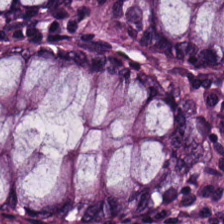0.5 µm per pixel · 224×224 px patch · hematoxylin and eosin. The tissue here is normal colon mucosa.
